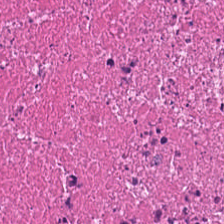FFPE tissue section · H&E stain. Impression → necrotic debris.
